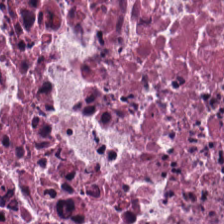H&E-stained section; the field shows cellular debris.
